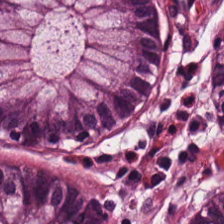Hematoxylin and eosin. Benign colonic mucosa.
